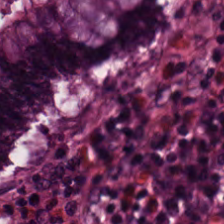Brightfield; H&E-stained tissue section. This patch shows normal colonic mucosa.
